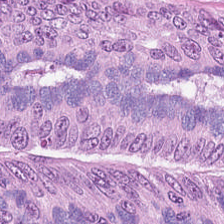H&E.
Finding — adenocarcinoma.
